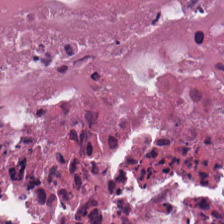Tissue = debris.
